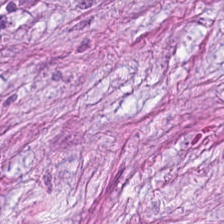H&E stain. Whole-slide-image patch. Formalin-fixed paraffin-embedded section — Predominantly tumor-associated stroma.
